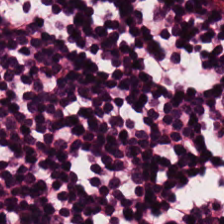Stain: H&E-stained tissue section.
Tissue type: lymphocytes.
